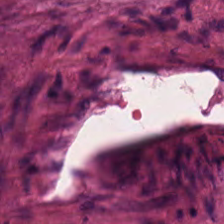H&E stain — Q: What is shown here?
A: It is tumor-associated stroma.
